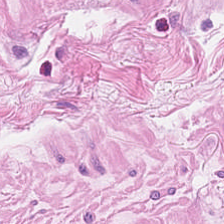Q: What tissue is shown?
A: It is smooth-muscle tissue.
